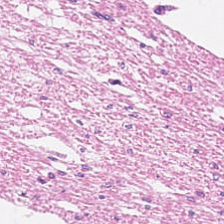0.5 µm/px; formalin-fixed paraffin-embedded section; hematoxylin and eosin. Histology → smooth-muscle tissue.
